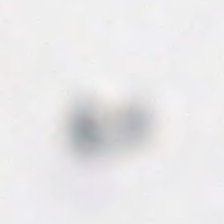H&E stain. Whole-slide-image patch — Classification — empty background.
